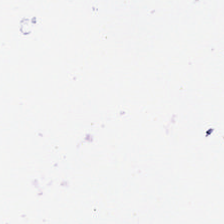Content = no tissue.
